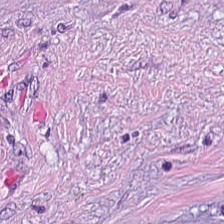Stain: H&E stain.
Predominant tissue: desmoplastic stroma.
